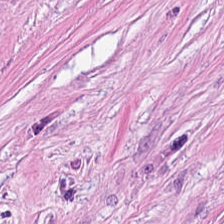0.5 µm/px; H&E; brightfield microscopy — Q: What type of tissue is this?
A: It is tumor stroma.
